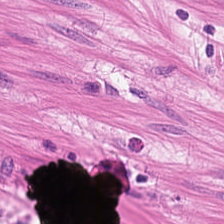H&E stain. Impression — smooth-muscle tissue.
